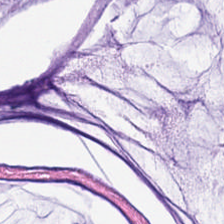Hematoxylin and eosin · 20× equivalent magnification. Q: What is shown in this field?
A: This is mucus.
